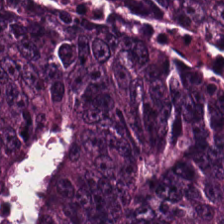H&E stain — Q: What type of tissue is this?
A: Malignant epithelium.
